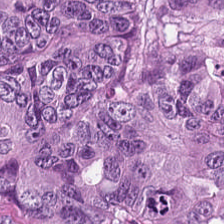Q: What tissue type is shown here?
A: It is tumor epithelium.
